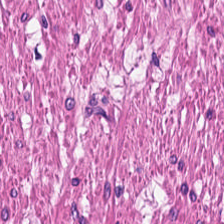Hematoxylin and eosin — Impression — smooth-muscle tissue.
